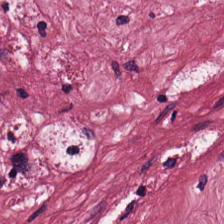FFPE tissue section · H&E-stained tissue section — Q: What tissue is shown?
A: It is cancer-associated stroma.
